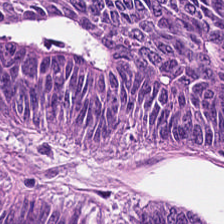H&E-stained tissue section.
Classification: adenocarcinoma.
